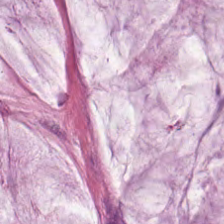0.5 µm per pixel. H&E. WSI patch. Predominantly extracellular mucin.
